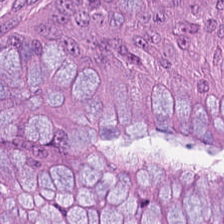Hematoxylin-and-eosin stained section. WSI patch. 224×224 pixel tile — Tissue class = tumor epithelium.
